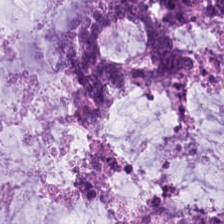224×224 px patch · hematoxylin-and-eosin stained section.
Impression — mucin.
